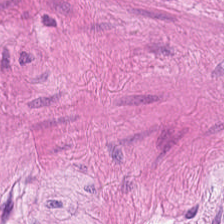Histology — smooth muscle.
